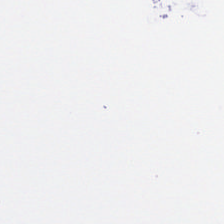224×224 pixel tile; H&E — This field is background (no tissue).
